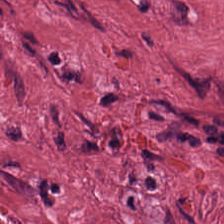H&E stain · whole-slide-image patch — Tissue class: desmoplastic stroma.
